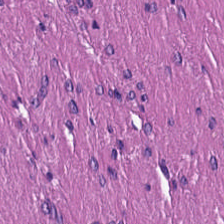Hematoxylin and eosin. This field is smooth-muscle tissue.
